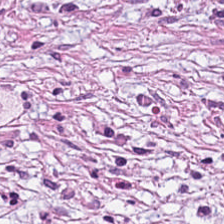Formalin-fixed paraffin-embedded section. 224×224 px patch. Hematoxylin-and-eosin stained section — Showing desmoplastic stroma.
